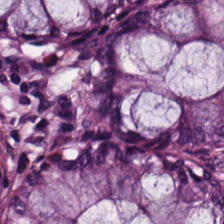H&E-stained tissue section. This field is non-neoplastic colon mucosa.
